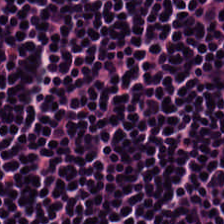H&E-stained tissue section — Q: What does this patch show?
A: The field shows lymphocyte aggregate.
